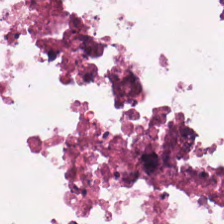H&E — This field is cellular debris.
